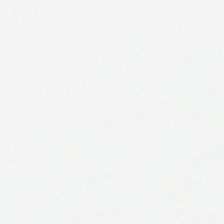FFPE tissue section · 0.5 µm/px · H&E-stained tissue section.
Finding — background.
